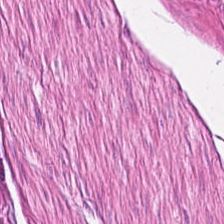Q: What does this patch show?
A: It is muscularis.
